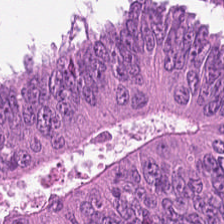Impression → colorectal adenocarcinoma epithelium.
